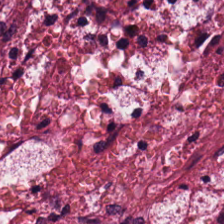Hematoxylin and eosin — Tissue type = cancer-associated stroma.
